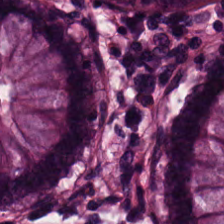Stain: H&E stain.
Tile size: 224×224 px patch.
Acquisition: whole-slide-image patch.
Tissue class: benign colonic mucosa.
